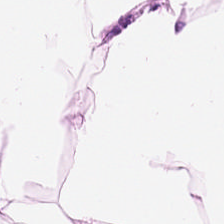Hematoxylin and eosin.
This field is adipose tissue.
